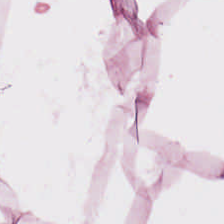224×224 pixel tile; 0.5 microns per pixel; H&E. This patch shows adipose tissue.
